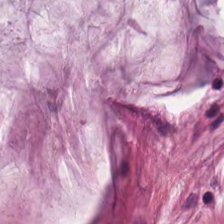Stain: hematoxylin-and-eosin stained section.
Tile size: 224×224 px patch.
Predominant tissue: mucus.
